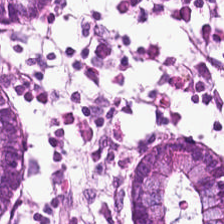224×224 pixel tile. H&E.
The predominant tissue is normal colon mucosa.
